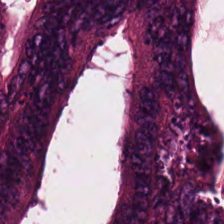Hematoxylin and eosin. Showing tumor epithelium.
